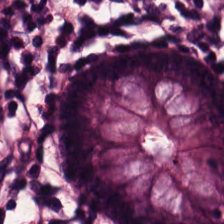The tissue here is normal colonic mucosa.
